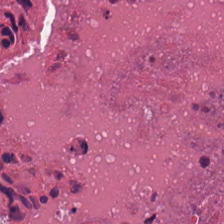H&E. Classification — debris.
